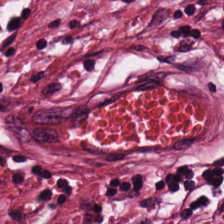Hematoxylin and eosin.
The predominant tissue is tumor-associated stroma.
